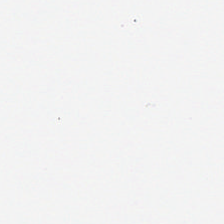Empty field — background (no tissue).
